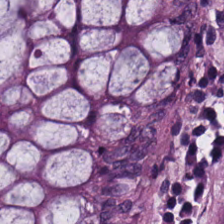H&E stain — Finding — normal colonic mucosa.
